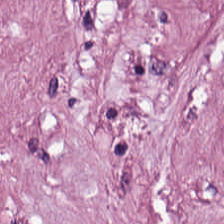Hematoxylin-and-eosin stained section — Classification: tumor-associated stroma.
